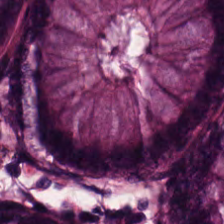Hematoxylin-and-eosin stained section. FFPE. Showing non-neoplastic colon mucosa.
